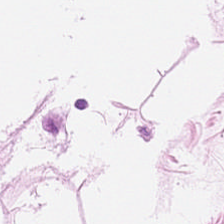This patch shows adipose.
